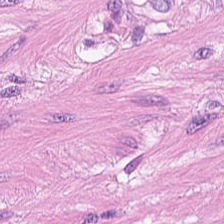H&E-stained section; the field shows smooth muscle.
